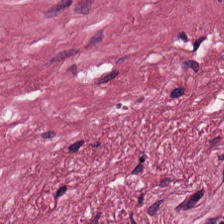0.5 µm per pixel. Hematoxylin and eosin. Whole-slide-image patch.
Tissue — tumor stroma.
